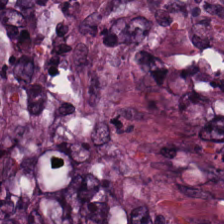0.5 µm/px. H&E-stained tissue section.
Classification: tumor epithelium.
